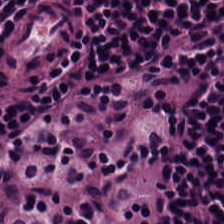Tissue type — lymphoid infiltrate.
